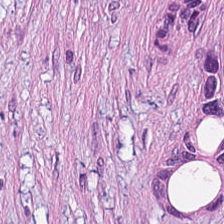H&E stain. Q: What is shown in this field?
A: Cancer-associated stroma.
